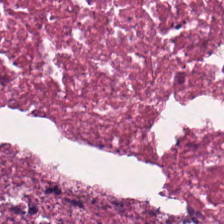H&E stain — Predominant tissue — necrotic debris.
